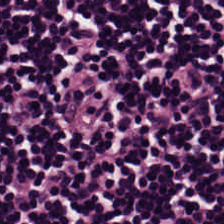Hematoxylin-and-eosin stained section; 224×224 pixel tile.
Tissue class — lymphocyte aggregate.
